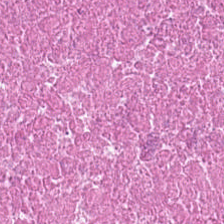H&E; 224×224 px patch — Classification: debris.
